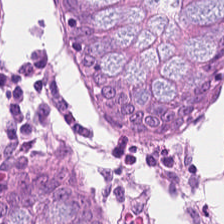H&E — non-neoplastic colon mucosa.
